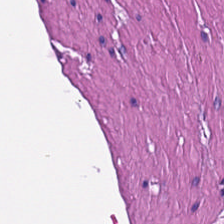Q: What is shown in this field?
A: It is smooth-muscle tissue.
